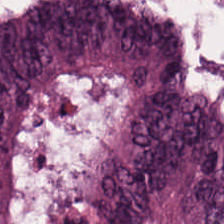Q: Classify this patch.
A: This is colorectal adenocarcinoma epithelium.
